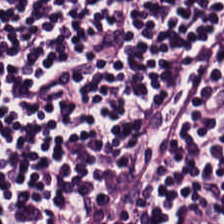224×224 px patch; hematoxylin-and-eosin stained section.
Classification = lymphoid infiltrate.
